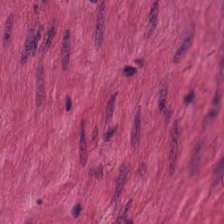H&E-stained section; the field shows muscularis.
